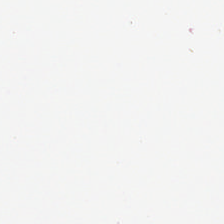H&E-stained tissue section · WSI patch.
This field is background (no tissue).
